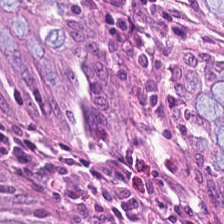H&E stain — The tissue here is normal colon mucosa.
